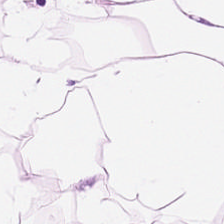Hematoxylin-and-eosin stained section.
Q: What is shown in this field?
A: Adipocytes.
